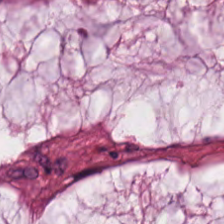Hematoxylin and eosin; 224×224 pixel tile.
This patch shows mucin.
